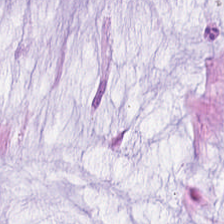Classification — mucus.
